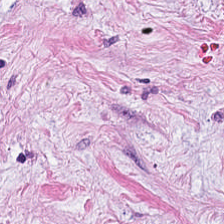H&E-stained tissue section — Tissue type — tumor-associated stroma.
